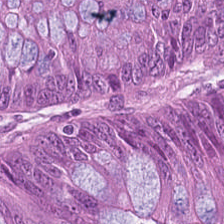224×224 px tile. Hematoxylin and eosin. 0.5 µm per pixel.
Finding → tumor epithelium.
